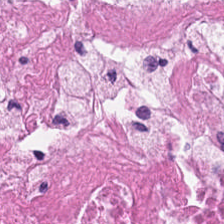FFPE. H&E.
Tissue = debris.
